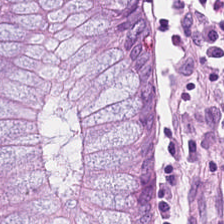Formalin-fixed paraffin-embedded section. H&E stain — Finding → non-neoplastic colon mucosa.
